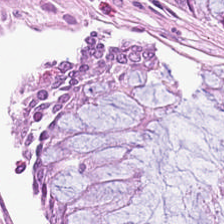This patch shows normal colon mucosa.
